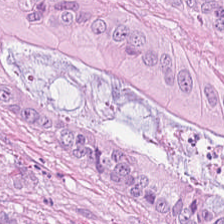Hematoxylin-and-eosin stained section; FFPE — Histology — colorectal adenocarcinoma epithelium.
